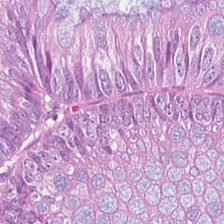Hematoxylin-and-eosin stained section.
Predominantly colorectal adenocarcinoma epithelium.
